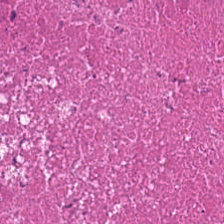H&E — Predominantly necrotic debris.
